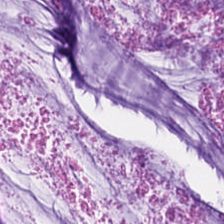H&E-stained tissue section — The tissue here is mucin.
